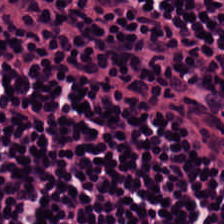Finding — lymphocytic infiltrate.
